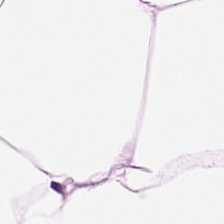Formalin-fixed paraffin-embedded section; hematoxylin-and-eosin stained section. Predominant tissue — adipocytes.
